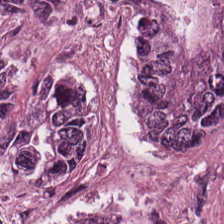Hematoxylin-and-eosin stained section; FFPE tissue section — {"tissue_type": "tumor epithelium"}
